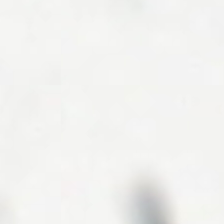0.5 µm/px. H&E-stained tissue section.
The field content is empty background.
